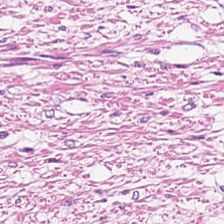224×224 pixel tile; H&E; whole-slide-image patch — The tissue is smooth muscle.
